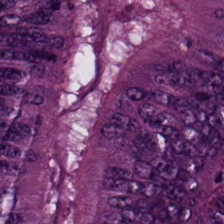Tissue: tumor epithelium.
